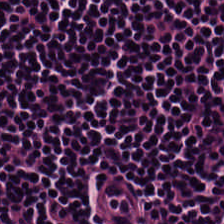H&E stain; brightfield; 20× equivalent magnification.
Impression → lymphocytes.
